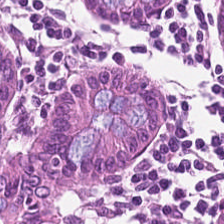224×224 px tile. Hematoxylin and eosin.
The classification is normal colon mucosa.
